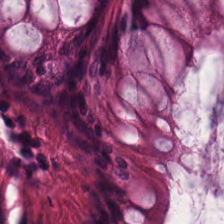Hematoxylin-and-eosin stained section.
Q: What is shown in this field?
A: The field shows normal colonic mucosa.
